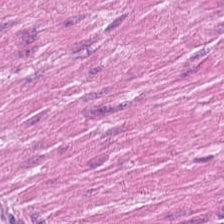H&E. Finding — muscularis.
